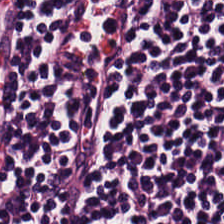This patch shows lymphocyte aggregate.
